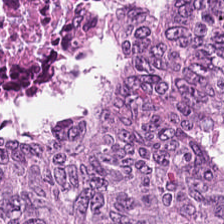Stain: H&E-stained tissue section.
Predominant tissue: colorectal adenocarcinoma epithelium.
